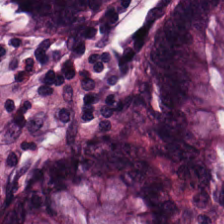224×224 pixel tile; hematoxylin-and-eosin stained section.
Q: Identify the tissue.
A: This is benign colonic mucosa.
